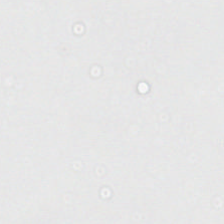H&E stain; WSI patch; 224×224 px tile — Q: What is shown in this field?
A: It is empty background.
